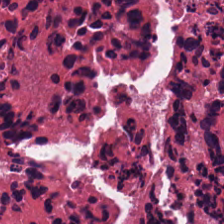0.5 microns per pixel. H&E stain — Cellular debris.
